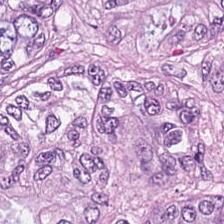Formalin-fixed paraffin-embedded section · hematoxylin-and-eosin stained section — This patch shows colorectal adenocarcinoma.
